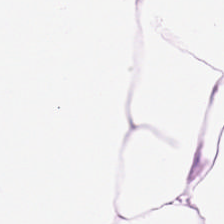H&E-stained tissue section.
The tissue here is adipose.
